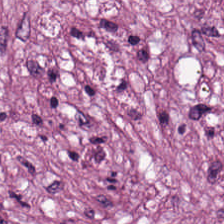Showing tumor stroma.
